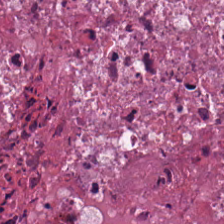H&E-stained tissue section — Q: What is shown here?
A: The field shows debris.
